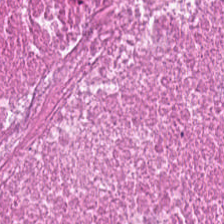H&E stain · 0.5 µm per pixel.
Predominantly necrotic debris.
